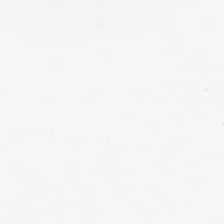H&E-stained tissue section; brightfield — No tissue present; background only.
